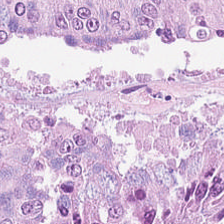Hematoxylin-and-eosin stained section. Predominantly malignant epithelium.
